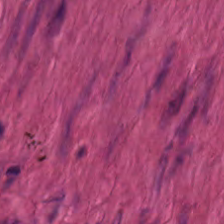Hematoxylin-and-eosin stained section — Q: What does this patch show?
A: This is muscularis.
